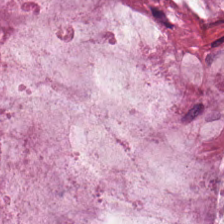H&E stain — Tissue: extracellular mucin.
